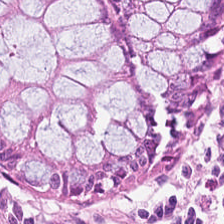0.5 µm/px · H&E.
Q: What tissue is shown?
A: Normal colon mucosa.
